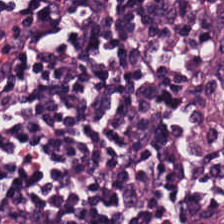Stain: hematoxylin-and-eosin stained section.
Predominant tissue: lymphocytes.
